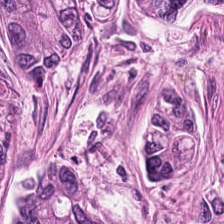224×224 px patch. H&E-stained tissue section — This patch shows malignant epithelium.
